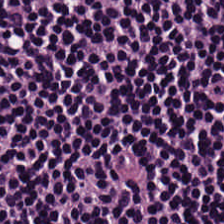Hematoxylin-and-eosin stained section — {"tissue_type": "lymphoid infiltrate"}
